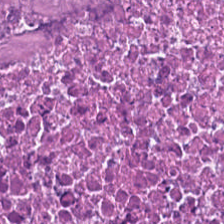H&E stain.
Q: Identify the tissue.
A: It is necrotic debris.
